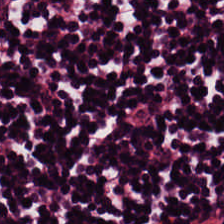FFPE tissue section. 224×224 pixel tile. H&E — Tissue: lymphoid infiltrate.
